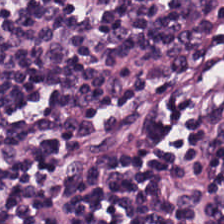H&E-stained tissue section · brightfield · FFPE — Tissue class: lymphocytes.
